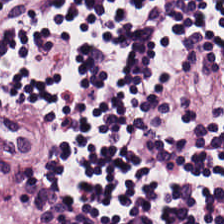Formalin-fixed paraffin-embedded section; H&E-stained tissue section — Histology → lymphocytic infiltrate.
